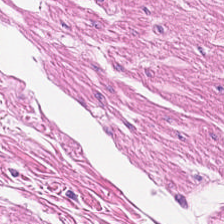224×224 pixel tile; hematoxylin-and-eosin stained section — Tissue class: muscularis.
